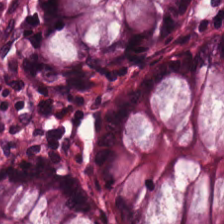H&E. Q: What is shown here?
A: This is normal colon mucosa.
